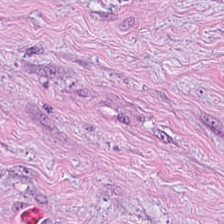H&E.
This patch shows cancer-associated stroma.
